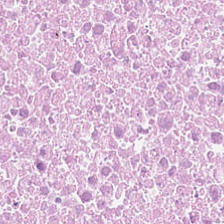224×224 px patch; hematoxylin-and-eosin stained section — The predominant tissue is cellular debris.
